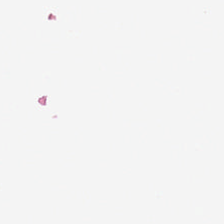H&E-stained tissue section. Content = background (no tissue).
